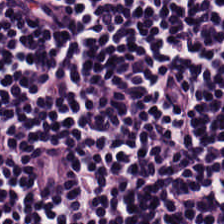Tissue type = lymphocytes.
